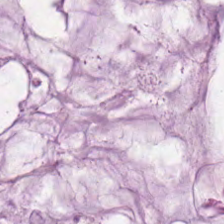H&E-stained tissue section · FFPE · whole-slide-image patch.
Q: What is shown here?
A: The field shows mucus.
